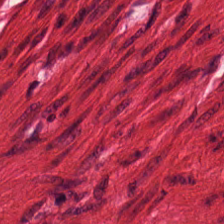H&E-stained tissue section.
This patch shows smooth-muscle tissue.
